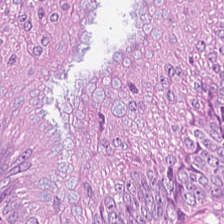H&E-stained tissue section · formalin-fixed paraffin-embedded section — Tissue class: adenocarcinoma.
